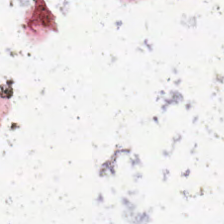H&E-stained tissue section · WSI patch.
Background.
